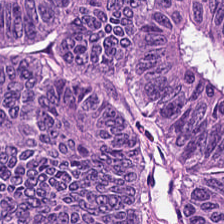H&E stain. Q: What does this patch show?
A: Malignant epithelium.
